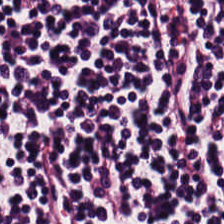H&E stain; FFPE tissue section.
Q: What is the predominant tissue type?
A: It is lymphocyte aggregate.
